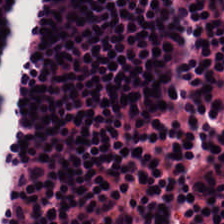H&E-stained tissue section — Q: What is shown in this field?
A: Lymphoid infiltrate.
